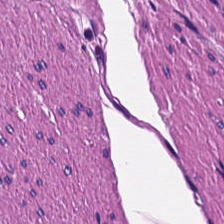H&E. 224×224 px tile. Q: Identify the tissue.
A: Smooth muscle.
